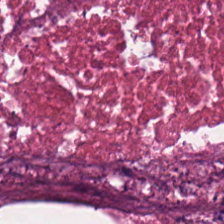H&E stain.
Predominant tissue: necrotic debris.
